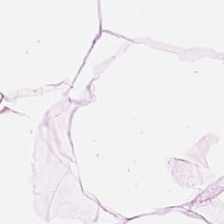H&E.
The predominant tissue is adipose.
